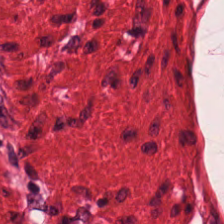H&E-stained tissue section. FFPE. Histology → smooth muscle.
